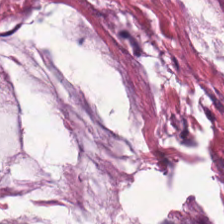H&E; 224×224 px tile. Extracellular mucin.
